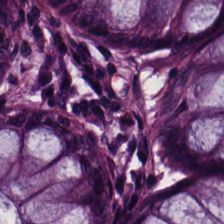H&E — This field is non-neoplastic colon mucosa.
